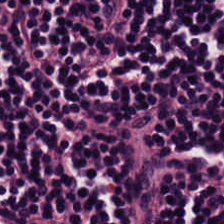H&E stain — Predominantly lymphocytic infiltrate.
